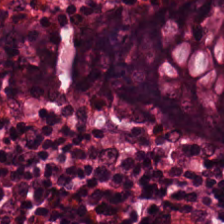H&E-stained tissue section · 0.5 microns per pixel · 224×224 px tile. Classification — normal colon mucosa.
